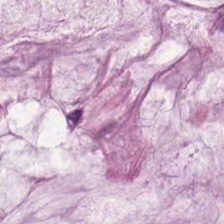Stain: H&E.
Predominant tissue: extracellular mucin.
